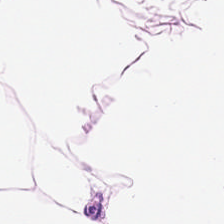0.5 microns per pixel · H&E stain.
Tissue type: adipose tissue.
